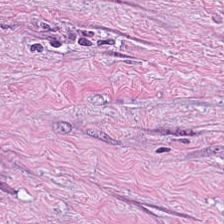224×224 px patch. Hematoxylin-and-eosin stained section — Tissue — desmoplastic stroma.
